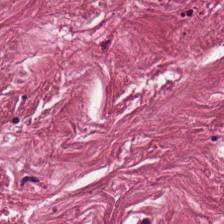Hematoxylin and eosin. Q: What is shown in this field?
A: This is desmoplastic stroma.
